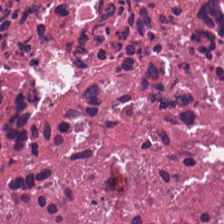This patch shows necrotic debris.
